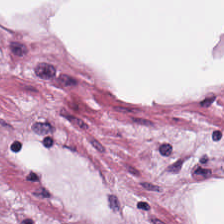Whole-slide-image patch; 0.5 µm per pixel; H&E-stained tissue section — Q: What tissue type is shown here?
A: It is adipose.
